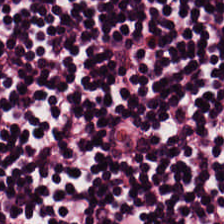H&E.
Finding — lymphocytic infiltrate.
